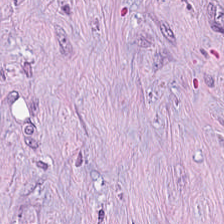20× equivalent magnification · 224×224 px tile · hematoxylin-and-eosin stained section. Predominantly desmoplastic stroma.
